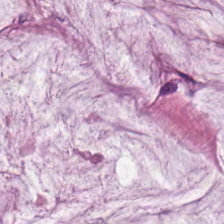Hematoxylin and eosin · FFPE · brightfield.
Q: What tissue is shown?
A: Mucin.
